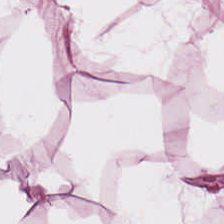H&E stain · 0.5 µm/px.
Predominant tissue: fat tissue.
